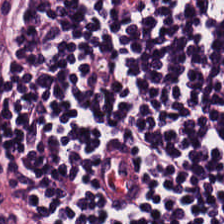H&E stain. Tissue type = lymphocyte aggregate.
